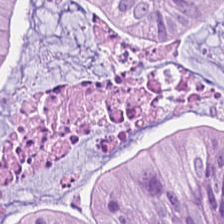Tissue: colorectal adenocarcinoma.
